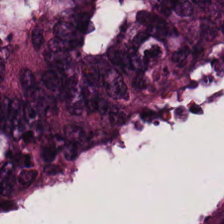0.5 microns per pixel. H&E.
Showing adenocarcinoma.
